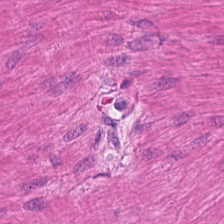Tissue = smooth-muscle tissue.
